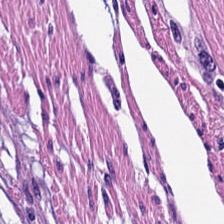Formalin-fixed paraffin-embedded section; H&E stain — {"tissue_type": "muscularis"}
